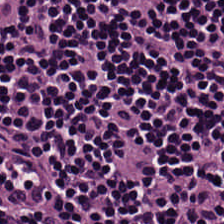224×224 px tile · H&E-stained tissue section — This field is lymphocyte aggregate.
